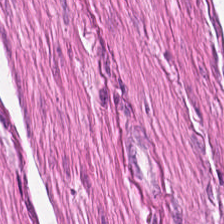H&E-stained tissue section — {"tissue_type": "smooth muscle"}
